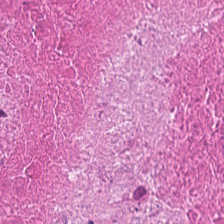H&E-stained tissue section — The tissue here is necrotic debris.
